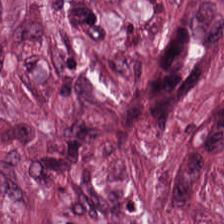H&E stain; 0.5 µm per pixel.
Impression → cancer-associated stroma.
